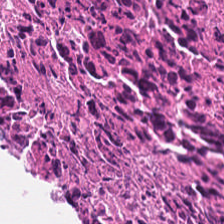Stain: H&E-stained tissue section.
Resolution: 0.5 microns per pixel.
Acquisition: brightfield microscopy.
Tissue type: necrotic debris.
